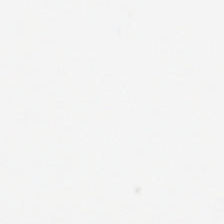{"content": "background (no tissue)"}
